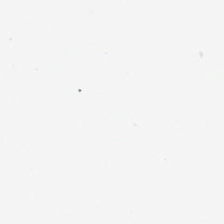Stain: H&E-stained tissue section.
Content: background (no tissue).
